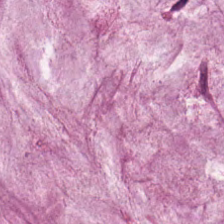Stain: H&E stain.
Tissue: mucin.
